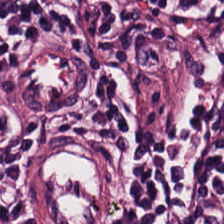224×224 px patch · brightfield · H&E stain — Impression → lymphocytes.
